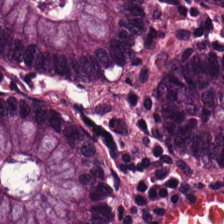Histology — benign colonic mucosa.
